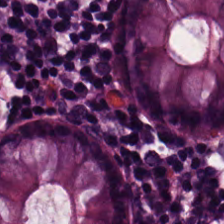Stain: H&E stain.
Tissue class: non-neoplastic colon mucosa.
